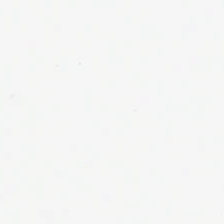H&E; 224×224 px patch — Classification — empty background.
